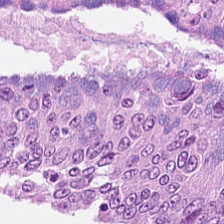H&E stain; brightfield — Predominant tissue = colorectal adenocarcinoma epithelium.
